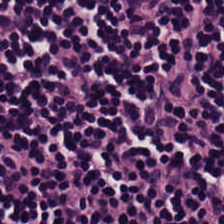Histology — lymphocytes.
